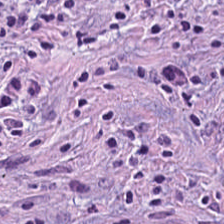Stain: H&E stain.
Tissue: tumor stroma.
